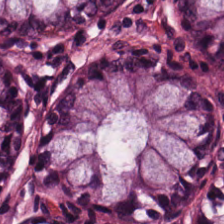Hematoxylin and eosin — Tissue type — benign colonic mucosa.
